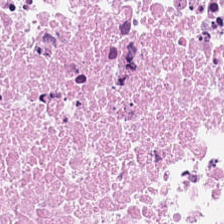Stain: hematoxylin and eosin.
Tissue type: debris.
